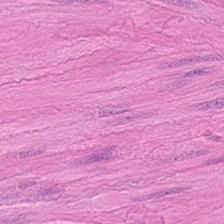H&E-stained tissue section; 0.5 µm per pixel.
This patch shows muscularis.
